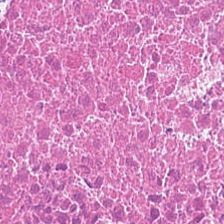224×224 pixel tile. Hematoxylin and eosin. 0.5 µm/px — Predominant tissue — debris.
